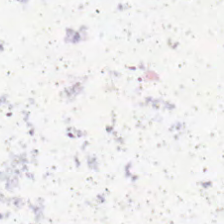H&E stain.
Finding — background.
